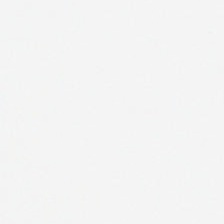H&E-stained tissue section.
The field content is no tissue.
